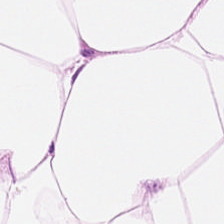The classification is adipocytes.
